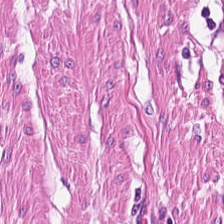Tissue = smooth muscle.
